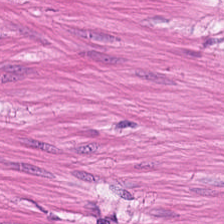Hematoxylin-and-eosin stained section.
This patch shows muscularis.
